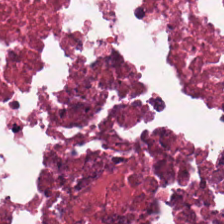0.5 microns per pixel; H&E. The tissue here is necrotic debris.
